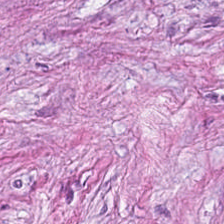Hematoxylin and eosin. The predominant tissue is tumor stroma.
